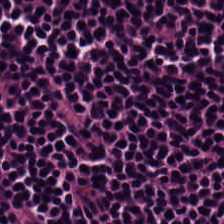0.5 microns per pixel · H&E · WSI patch — Finding → lymphoid infiltrate.
